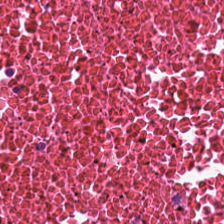Stain: H&E-stained tissue section.
Acquisition: WSI patch.
Predominant tissue: necrotic debris.
